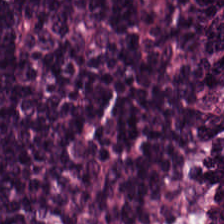H&E stain; brightfield microscopy; FFPE. Tissue = lymphoid infiltrate.
